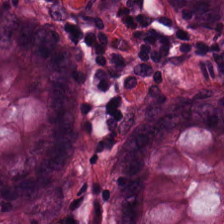0.5 microns per pixel; H&E. Classification: benign colonic mucosa.
